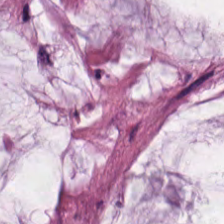H&E stain — Mucin.
